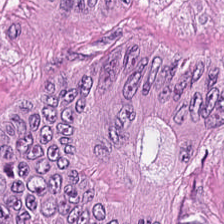H&E-stained tissue section; brightfield microscopy.
{"tissue_type": "colorectal adenocarcinoma"}
